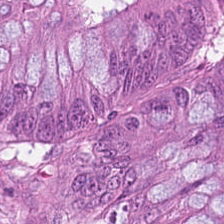Stain: H&E.
Tissue type: adenocarcinoma.
